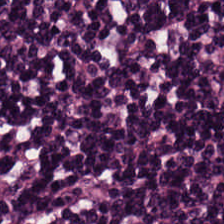H&E stain. Formalin-fixed paraffin-embedded section — Q: What is shown here?
A: Lymphoid infiltrate.
